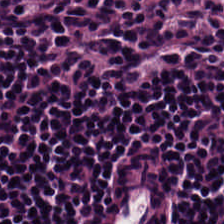H&E-stained tissue section.
Classification: lymphoid infiltrate.
